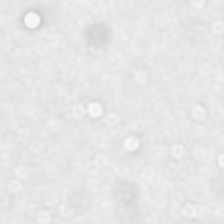224×224 pixel tile. Brightfield. H&E stain — Q: What is shown here?
A: The field shows background.
